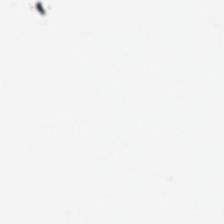Q: Classify this patch.
A: It is no tissue.
